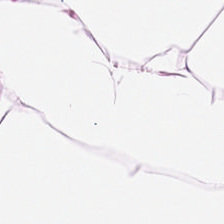Tissue = adipose.
